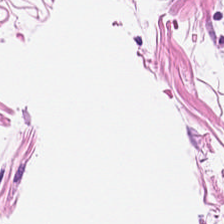Brightfield microscopy. Hematoxylin-and-eosin stained section. FFPE.
This patch shows adipose tissue.
